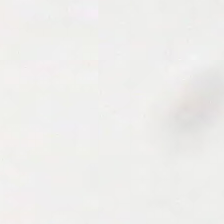224×224 px tile; hematoxylin and eosin.
Classification: background.
